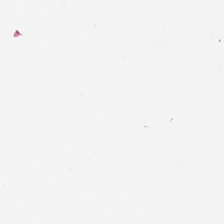Stain: hematoxylin-and-eosin stained section.
Resolution: 20× equivalent magnification.
Field content: no tissue.
